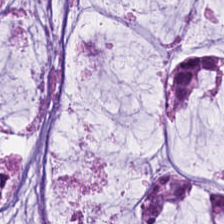FFPE tissue section · hematoxylin and eosin · WSI patch.
{"tissue_type": "mucin"}
